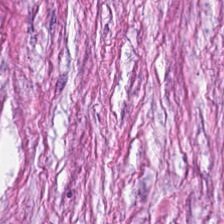Hematoxylin-and-eosin stained section. The tissue class is tumor stroma.
